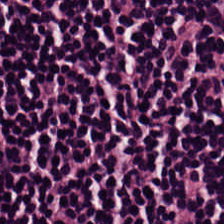This field is lymphoid infiltrate.
